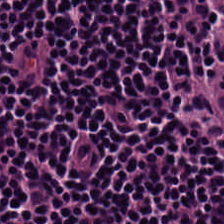H&E — Q: What is shown here?
A: This is lymphocytic infiltrate.
